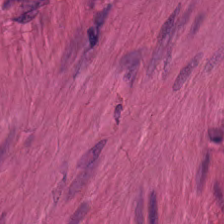Tissue type: smooth muscle.
